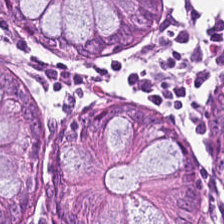20× equivalent magnification; H&E stain.
Q: What is the predominant tissue type?
A: Normal colonic mucosa.
